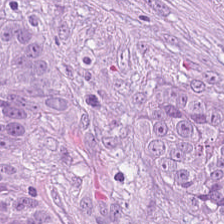Finding — adenocarcinoma.
